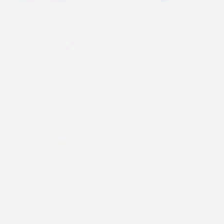H&E-stained tissue section. Brightfield. 224×224 pixel tile — Classification: background (no tissue).
